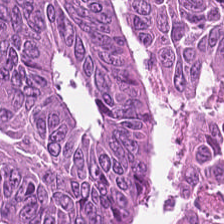FFPE; H&E stain — The tissue here is colorectal adenocarcinoma epithelium.
